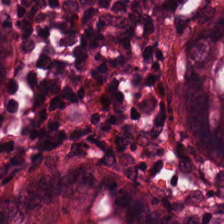Hematoxylin and eosin. Tissue type: normal colonic mucosa.
